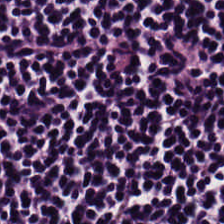Q: What tissue type is shown here?
A: The field shows lymphocytes.
